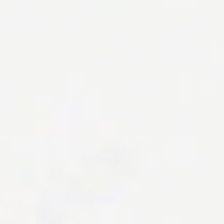This field is background (no tissue).
